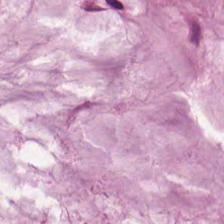Histology → mucin.
